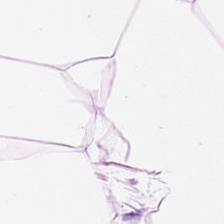Brightfield microscopy. 0.5 microns per pixel. H&E. Q: What tissue type is shown here?
A: It is adipose.
